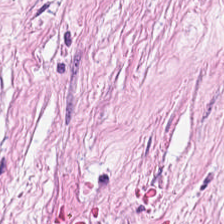FFPE · H&E-stained tissue section — Tissue class — tumor-associated stroma.
